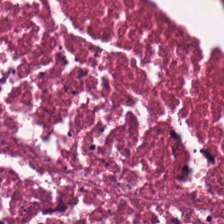Hematoxylin and eosin.
Impression → debris.
